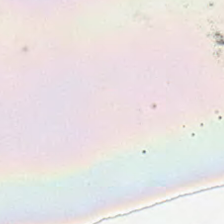Stain: H&E-stained tissue section.
Classification: empty background.
